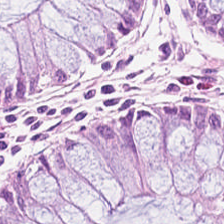WSI patch; H&E-stained tissue section. This field is normal colon mucosa.
